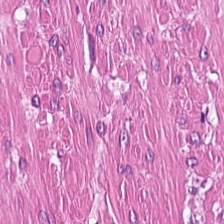Q: Classify this patch.
A: Smooth muscle.
